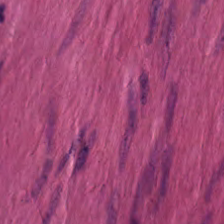H&E · brightfield microscopy · FFPE.
This patch shows smooth muscle.
